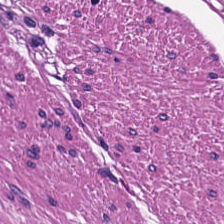Stain: H&E.
Tissue: smooth muscle.
